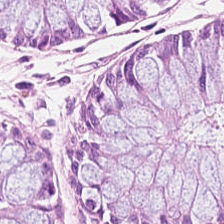0.5 µm per pixel. H&E stain — Predominantly normal colonic mucosa.
